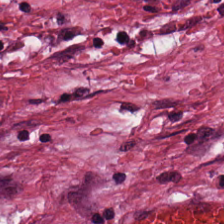H&E stain. FFPE. 0.5 microns per pixel.
The predominant tissue is tumor stroma.
